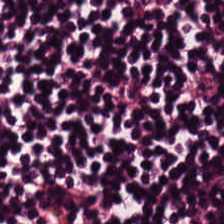Hematoxylin and eosin.
{"tissue_type": "lymphoid infiltrate"}
